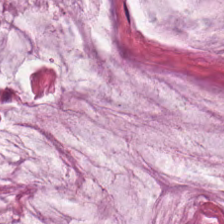H&E. Predominant tissue — mucin.
